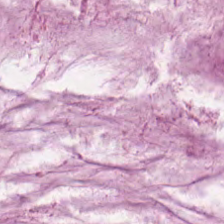The predominant tissue is extracellular mucin.
